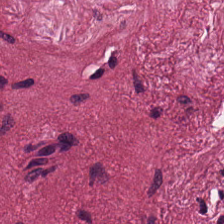Hematoxylin-and-eosin stained section. Brightfield microscopy. FFPE tissue section. Classification: tumor-associated stroma.
